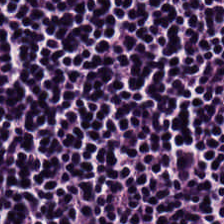H&E stain. FFPE tissue section — Lymphocytic infiltrate.
